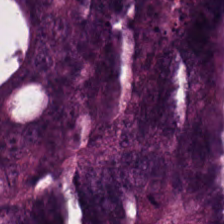Stain: hematoxylin-and-eosin stained section.
Predominant tissue: tumor epithelium.
